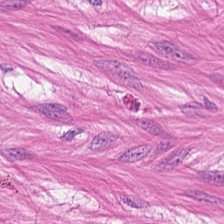H&E — smooth-muscle tissue.
